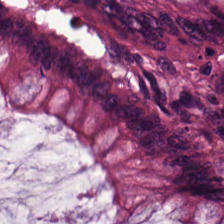H&E.
Tissue: normal colonic mucosa.
